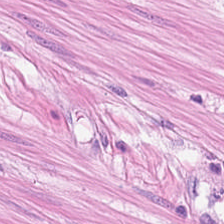224×224 px tile. H&E-stained tissue section. FFPE.
Finding → muscularis.
